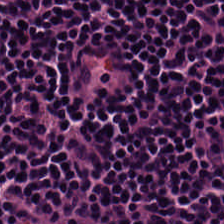H&E.
Tissue type — lymphocytes.
